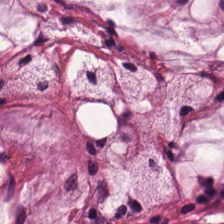0.5 microns per pixel · H&E stain.
Showing mucus.
